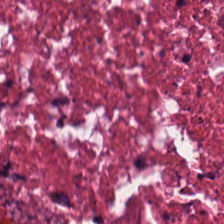The tissue type is necrotic debris.
